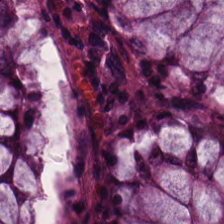Hematoxylin-and-eosin stained section — The tissue type is normal colon mucosa.
